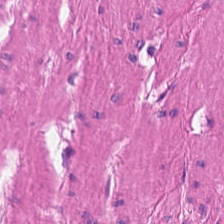H&E stain.
Muscularis.
